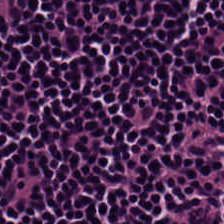Hematoxylin and eosin. {"tissue_type": "lymphoid infiltrate"}
